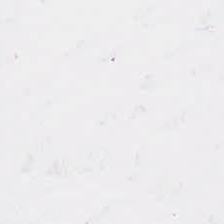Finding — empty background.
